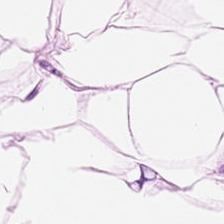Hematoxylin-and-eosin stained section — This field is adipose tissue.
